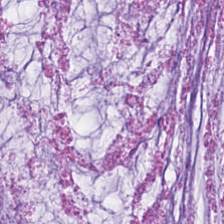224×224 px tile · H&E.
The tissue type is extracellular mucin.
